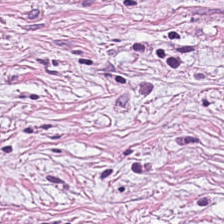FFPE. Hematoxylin-and-eosin stained section. 224×224 px patch. Predominantly tumor stroma.
